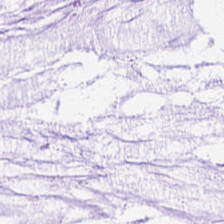The tissue here is mucus.
